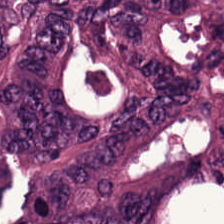0.5 microns per pixel. H&E-stained tissue section — Q: What does this patch show?
A: The field shows malignant epithelium.
